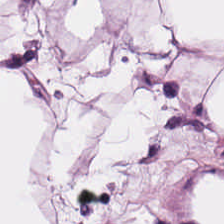The tissue here is adipose.
